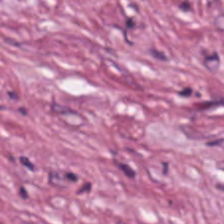H&E.
Tissue class — cancer-associated stroma.
